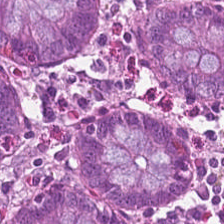H&E stain. Benign colonic mucosa.
